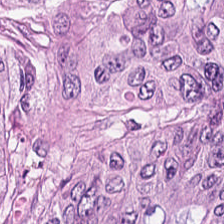{"tissue_type": "adenocarcinoma"}
